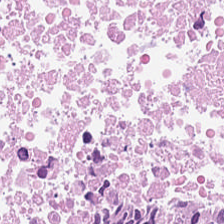Stain: H&E stain.
Acquisition: brightfield microscopy.
Tissue: cellular debris.
